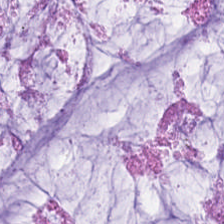H&E; brightfield — The tissue type is mucus.
